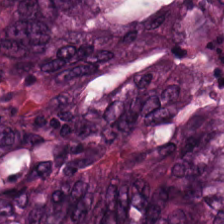Q: What is shown here?
A: It is tumor epithelium.
